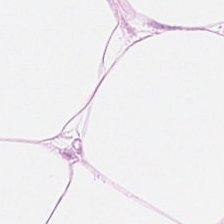H&E-stained section; the field shows fat tissue.
